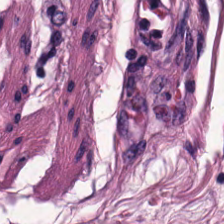Hematoxylin-and-eosin section: smooth-muscle tissue.
